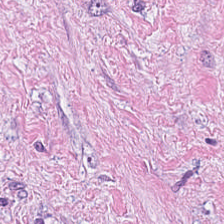Hematoxylin-and-eosin section: tumor-associated stroma.
